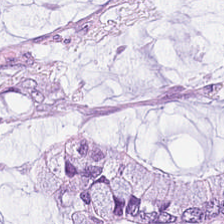Hematoxylin and eosin. Classification — mucin.
